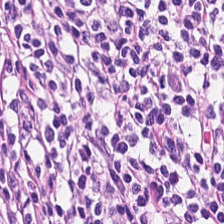H&E stain.
Q: What tissue type is shown here?
A: The field shows lymphocytic infiltrate.
